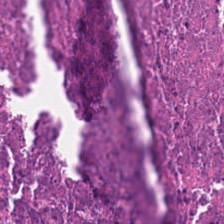Stain: H&E stain.
Resolution: 0.5 µm/px.
Classification: debris.
